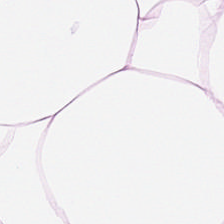H&E-stained tissue section. Q: Identify the tissue.
A: This is fat tissue.
